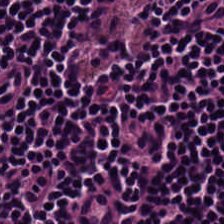Hematoxylin and eosin. Tissue = lymphocytes.
